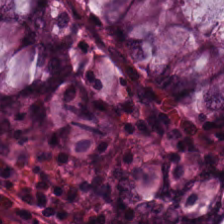Benign colonic mucosa.
